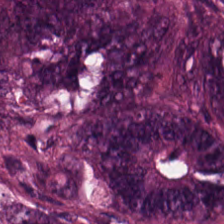H&E — malignant epithelium.
